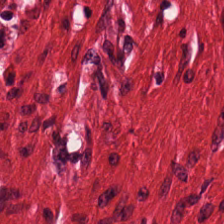WSI patch · H&E-stained tissue section. Q: Identify the tissue.
A: The field shows smooth muscle.
